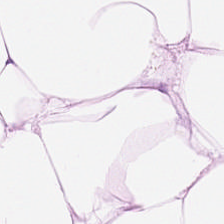Hematoxylin-and-eosin stained section. Tissue class = adipose tissue.
